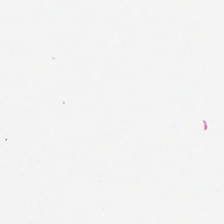Brightfield. 224×224 px tile. H&E-stained tissue section.
No tissue present; background only.
